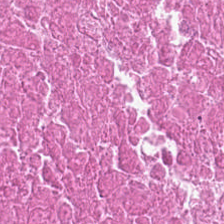Q: What tissue type is shown here?
A: The field shows debris.
